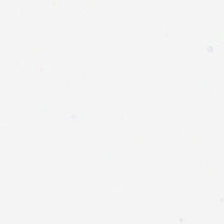Q: What is shown here?
A: This is no tissue.
